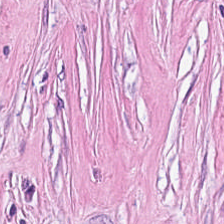H&E stain — Cancer-associated stroma.
